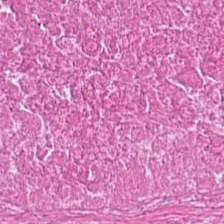H&E.
Q: What tissue type is shown here?
A: This is cellular debris.
